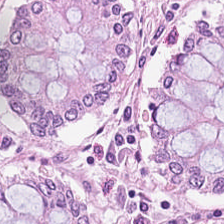Stain: H&E-stained tissue section.
Predominant tissue: benign colonic mucosa.
